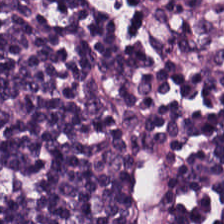0.5 µm/px · H&E-stained tissue section · brightfield. Q: What type of tissue is this?
A: The field shows lymphocytic infiltrate.
